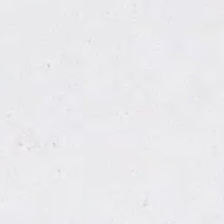H&E — Field content = no tissue.
